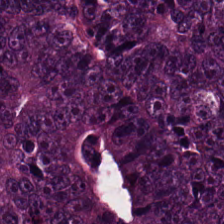H&E stain · brightfield microscopy. The classification is adenocarcinoma.
